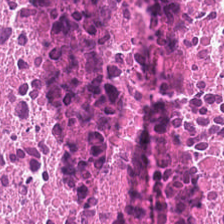H&E stain. Whole-slide-image patch.
Showing necrotic debris.
